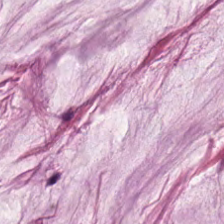Hematoxylin-and-eosin stained section · 224×224 px tile · 20× equivalent magnification.
This patch shows mucin.
